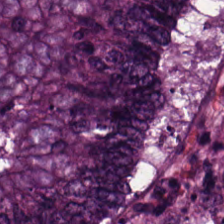Stain: H&E stain.
Tissue class: colorectal adenocarcinoma epithelium.
